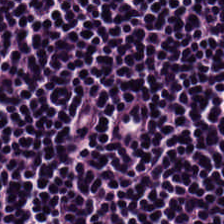{"tissue_type": "lymphocytic infiltrate"}
